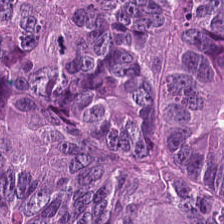H&E.
Tumor epithelium.
